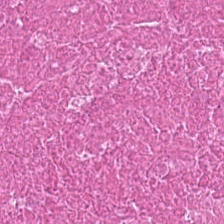H&E stain. Brightfield. 224×224 px patch — The tissue type is debris.
